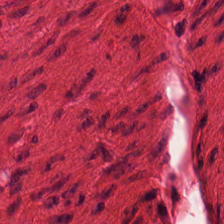Hematoxylin-and-eosin stained section. Whole-slide-image patch. 0.5 microns per pixel — The predominant tissue is smooth muscle.
